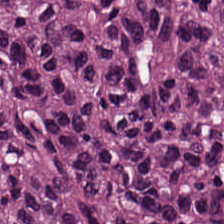Tissue = adenocarcinoma.
